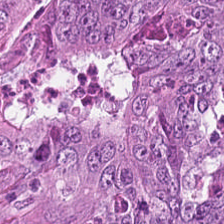H&E · 224×224 px tile. Finding — colorectal adenocarcinoma epithelium.
